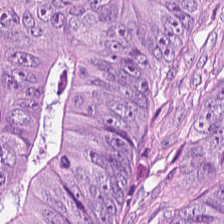H&E stain; FFPE tissue section. Showing colorectal adenocarcinoma.
